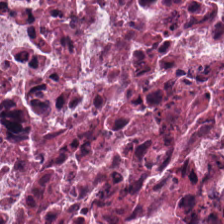224×224 pixel tile; 0.5 µm/px; H&E. The tissue here is debris.
